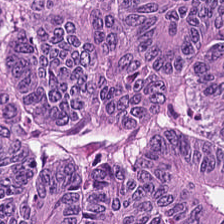{"tissue_type": "colorectal adenocarcinoma"}
